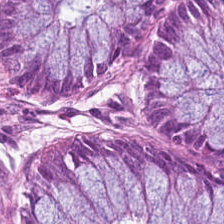Stain: hematoxylin and eosin.
Tissue: normal colon mucosa.
